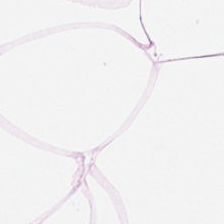Formalin-fixed paraffin-embedded section; H&E; WSI patch.
This field is fat tissue.
